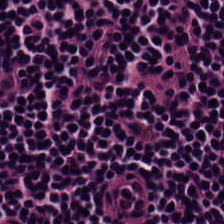The tissue here is lymphocytes.
